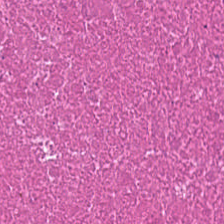H&E stain.
The tissue is debris.
